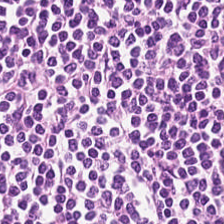Stain: hematoxylin and eosin.
Predominant tissue: lymphoid infiltrate.
